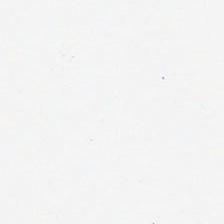{"content": "no tissue"}
